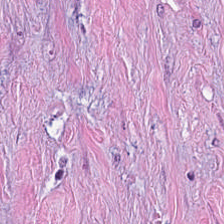224×224 px tile. FFPE tissue section. Hematoxylin-and-eosin stained section. Q: What is the predominant tissue type?
A: The field shows desmoplastic stroma.
